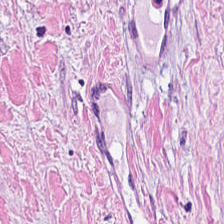H&E-stained tissue section; 224×224 pixel tile. Q: Classify this patch.
A: The field shows cancer-associated stroma.
